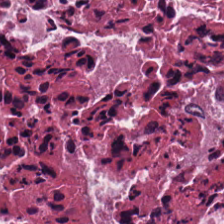H&E stain. Finding — cellular debris.
